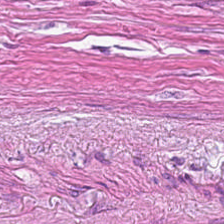H&E stain. Predominantly tumor stroma.
